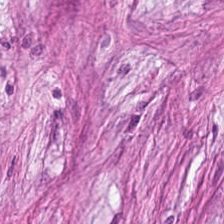Hematoxylin and eosin — Q: What tissue type is shown here?
A: The field shows tumor stroma.
